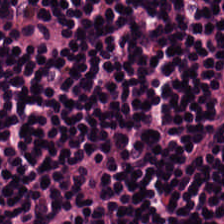H&E-stained tissue section showing lymphocytes.
